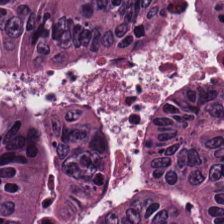Tissue class: colorectal adenocarcinoma.
